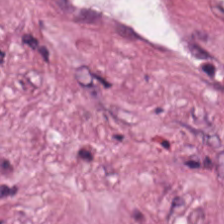Hematoxylin and eosin — Q: What tissue type is shown here?
A: This is cancer-associated stroma.
